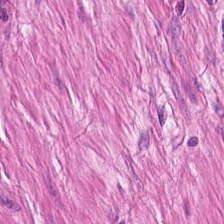H&E stain. Finding → smooth muscle.
